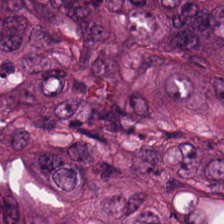Hematoxylin-and-eosin stained section; FFPE tissue section.
Classification: colorectal adenocarcinoma epithelium.
